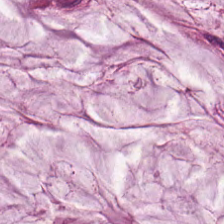FFPE · hematoxylin-and-eosin stained section. Q: What is the predominant tissue type?
A: The field shows mucus.
